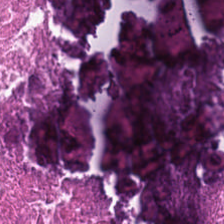Hematoxylin-and-eosin stained section. Predominantly debris.
